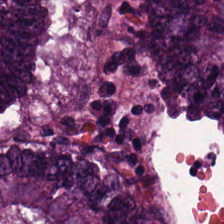Stain: H&E-stained tissue section.
Predominant tissue: colorectal adenocarcinoma epithelium.
